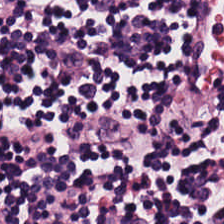Stain: H&E.
Tissue type: lymphoid infiltrate.
